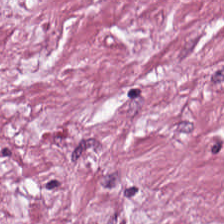Hematoxylin-and-eosin stained section — This patch shows tumor-associated stroma.
